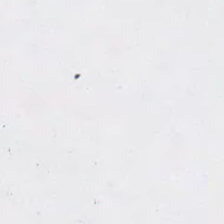20× equivalent magnification. Brightfield. H&E — No tissue present; background only.
